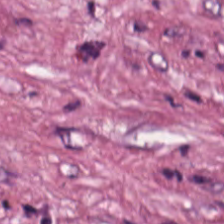Stain: H&E-stained tissue section.
Tissue type: cancer-associated stroma.
